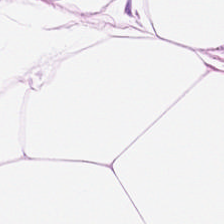Tissue — fat tissue.
